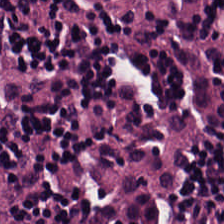Hematoxylin-and-eosin section: lymphocyte aggregate.
